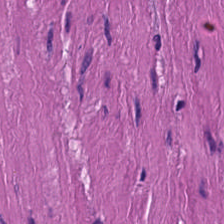20× equivalent magnification · 224×224 pixel tile · hematoxylin and eosin.
{"tissue_type": "muscularis"}
